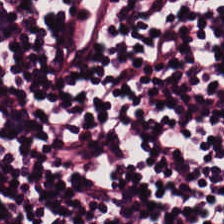Stain: H&E-stained tissue section.
Tissue: lymphocytic infiltrate.
